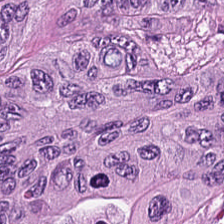Hematoxylin and eosin. The predominant tissue is adenocarcinoma.
